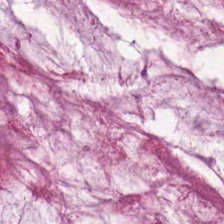Hematoxylin and eosin; brightfield microscopy; 224×224 pixel tile.
The tissue here is mucin.
